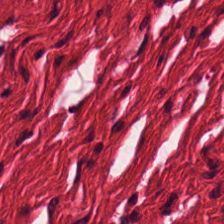H&E — This patch shows smooth muscle.
